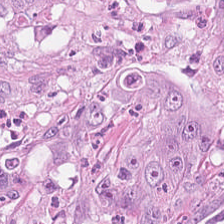FFPE; H&E-stained tissue section; brightfield.
The predominant tissue is adenocarcinoma.
